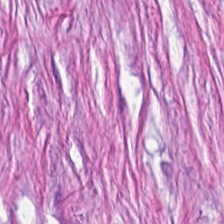H&E-stained tissue section.
The predominant tissue is tumor stroma.
